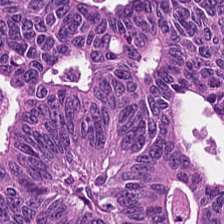Stain: hematoxylin and eosin.
Predominant tissue: tumor epithelium.
